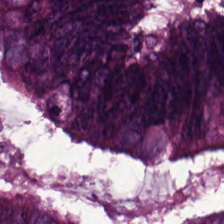The tissue type is malignant epithelium.
